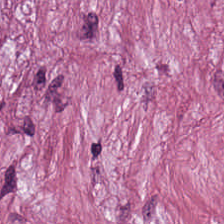Whole-slide-image patch · 224×224 px patch · hematoxylin-and-eosin stained section. Tissue — tumor-associated stroma.
